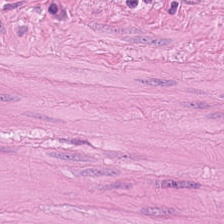Stain: H&E.
Classification: smooth muscle.
